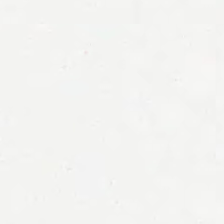The classification is background (no tissue).
